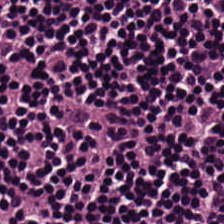Tissue = lymphocytic infiltrate.
